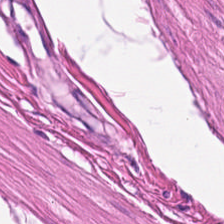H&E-stained tissue section; brightfield — Showing smooth-muscle tissue.
